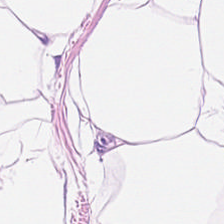H&E-stained tissue section; 224×224 px patch.
Adipocytes.
